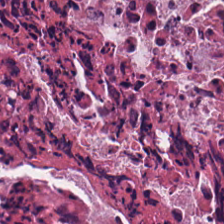Hematoxylin-and-eosin stained section. Q: What tissue type is shown here?
A: It is cellular debris.
